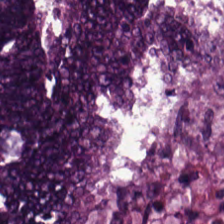Whole-slide-image patch; hematoxylin and eosin; 0.5 microns per pixel.
This patch shows adenocarcinoma.
